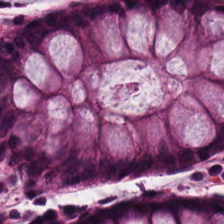H&E-stained tissue section; formalin-fixed paraffin-embedded section; 224×224 px tile. Histology → normal colon mucosa.
